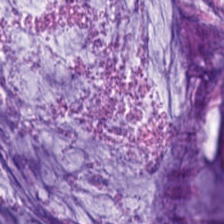0.5 µm per pixel. H&E-stained tissue section. Showing extracellular mucin.
